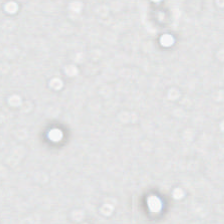Hematoxylin-and-eosin stained section. Empty field — background (no tissue).
